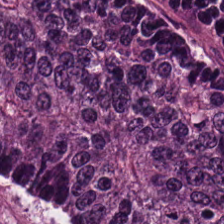0.5 µm per pixel. Hematoxylin and eosin — {"tissue_type": "tumor epithelium"}
